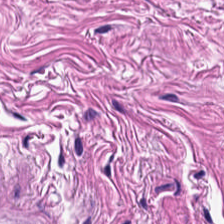H&E — Finding → smooth muscle.
